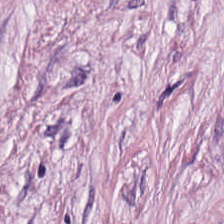224×224 px tile · H&E-stained tissue section · FFPE — Tissue type: tumor-associated stroma.
